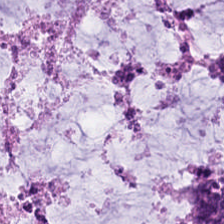H&E-stained tissue section — Predominant tissue: mucus.
